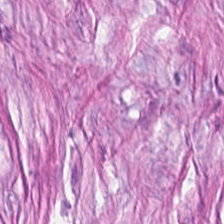FFPE · hematoxylin and eosin · whole-slide-image patch — The predominant tissue is desmoplastic stroma.
